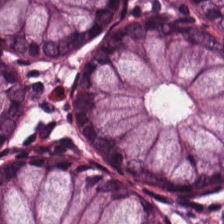Hematoxylin-and-eosin section: non-neoplastic colon mucosa.
